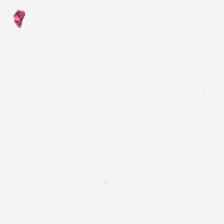Classification: empty background.
